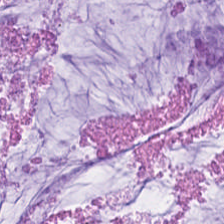H&E-stained tissue section.
This field is mucus.
